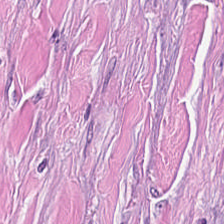Stain: hematoxylin-and-eosin stained section.
Tissue: desmoplastic stroma.
